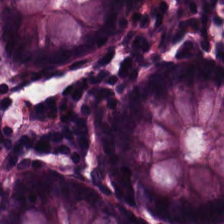224×224 px tile; hematoxylin and eosin.
The predominant tissue is normal colon mucosa.
